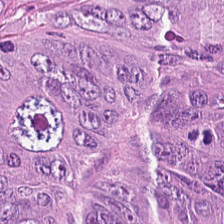H&E-stained tissue section — This patch shows colorectal adenocarcinoma.
